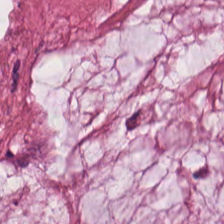20× equivalent magnification; H&E-stained tissue section. The classification is mucin.
